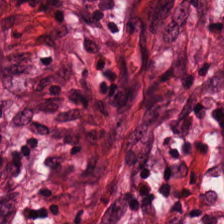H&E. Predominant tissue: cancer-associated stroma.
